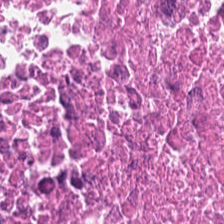Stain: hematoxylin-and-eosin stained section.
Tile size: 224×224 pixel tile.
Preparation: FFPE.
Tissue class: debris.
